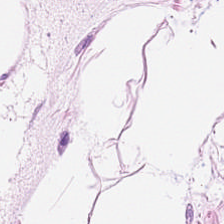H&E stain — Tissue: fat tissue.
